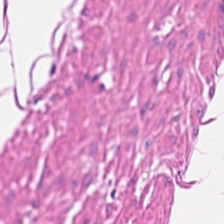Stain: hematoxylin and eosin.
Preparation: formalin-fixed paraffin-embedded section.
Resolution: 20× equivalent magnification.
Predominant tissue: smooth-muscle tissue.
